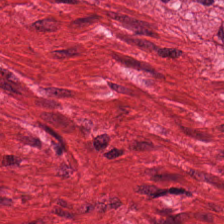0.5 µm per pixel; hematoxylin and eosin — {"tissue_type": "muscularis"}
